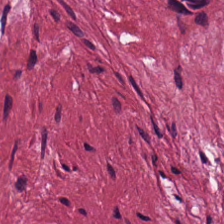Q: What tissue type is shown here?
A: This is cancer-associated stroma.
